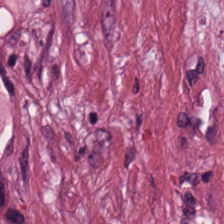Stain: H&E stain.
Tissue: cancer-associated stroma.
